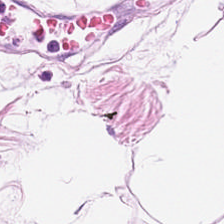Hematoxylin-and-eosin stained section. Q: Classify this patch.
A: Fat tissue.
